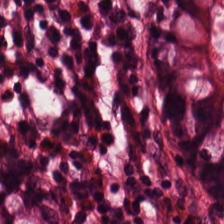This field is normal colon mucosa.
